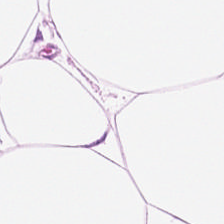Hematoxylin-and-eosin stained section.
The tissue type is adipose.
